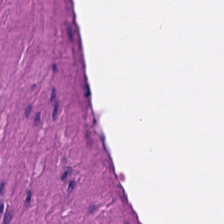Hematoxylin and eosin · 20× equivalent magnification. Predominant tissue — muscularis.
